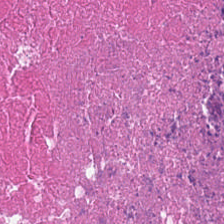H&E. Classification = necrotic debris.
